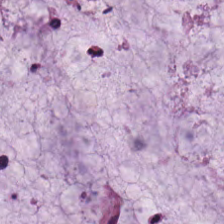H&E — Predominantly mucin.
